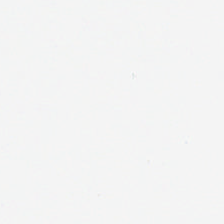H&E stain. Classification = background (no tissue).
